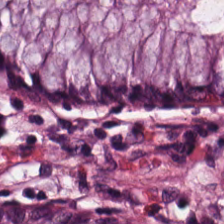Hematoxylin-and-eosin stained section. This patch shows non-neoplastic colon mucosa.
